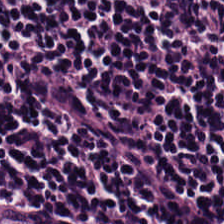H&E stain.
Showing lymphocyte aggregate.
